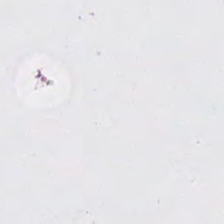H&E. Content = background.
